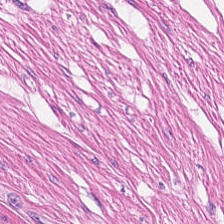Hematoxylin-and-eosin stained section · FFPE tissue section.
The predominant tissue is muscularis.
